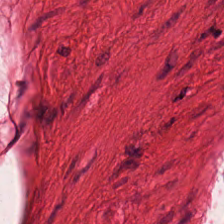Stain: H&E.
Acquisition: brightfield microscopy.
Predominant tissue: smooth-muscle tissue.
